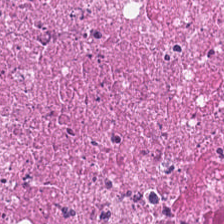This patch shows necrotic debris.
